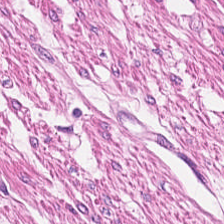H&E stain. Formalin-fixed paraffin-embedded section.
Tissue = smooth muscle.
